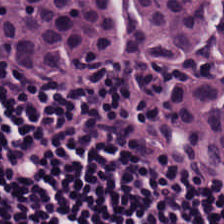Formalin-fixed paraffin-embedded section; hematoxylin and eosin — This field is lymphoid infiltrate.
